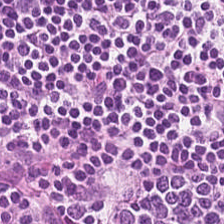Hematoxylin and eosin.
Q: What is shown here?
A: The field shows lymphocytes.
